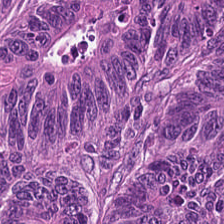Hematoxylin-and-eosin stained section. 224×224 pixel tile. Tissue type = colorectal adenocarcinoma epithelium.
